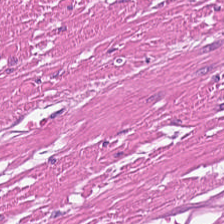Brightfield; hematoxylin-and-eosin stained section.
The predominant tissue is smooth muscle.
